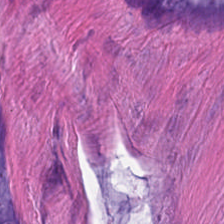H&E stain · formalin-fixed paraffin-embedded section · 224×224 px tile — Q: Identify the tissue.
A: Mucus.
